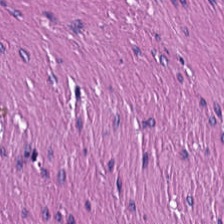Smooth muscle.
